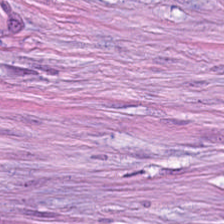Hematoxylin-and-eosin section: tumor-associated stroma.
